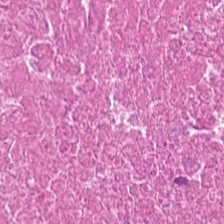H&E · 0.5 microns per pixel.
The tissue here is debris.
